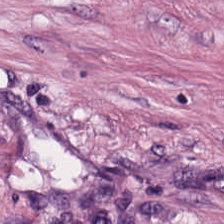Impression → tumor stroma.
